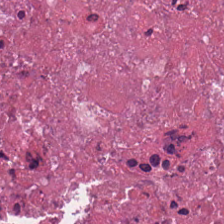Finding → debris.
